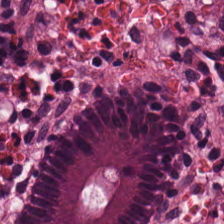Hematoxylin-and-eosin stained section. Predominantly benign colonic mucosa.
